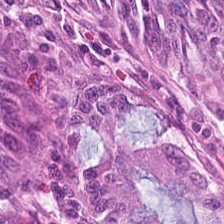Brightfield. Hematoxylin and eosin.
The tissue here is normal colon mucosa.
